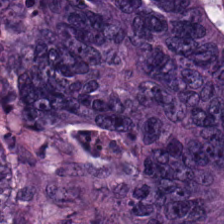H&E patch showing adenocarcinoma.
